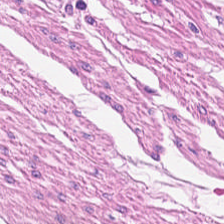Hematoxylin-and-eosin stained section · formalin-fixed paraffin-embedded section — {"tissue_type": "smooth muscle"}
